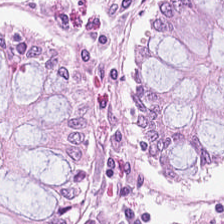FFPE tissue section. Brightfield microscopy. H&E.
This field is benign colonic mucosa.
